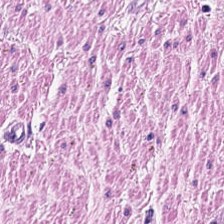Stain: H&E.
Acquisition: brightfield.
Tissue class: smooth muscle.
